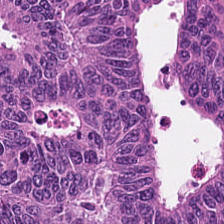Formalin-fixed paraffin-embedded section. 20× equivalent magnification. H&E.
Tissue = malignant epithelium.
